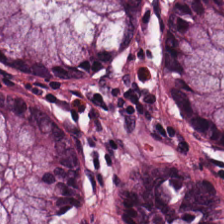The predominant tissue is normal colonic mucosa.
